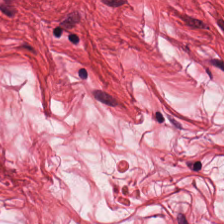H&E-stained tissue section — This patch shows smooth-muscle tissue.
